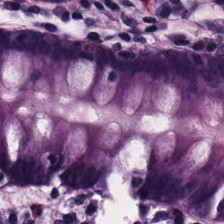H&E.
The tissue is benign colonic mucosa.
